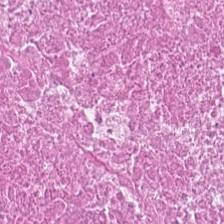Tissue type: cellular debris.
